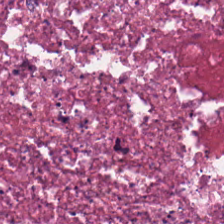Hematoxylin-and-eosin stained section — The tissue here is debris.
